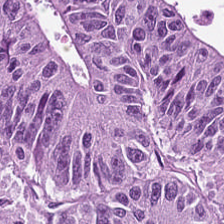{"tissue_type": "colorectal adenocarcinoma"}
